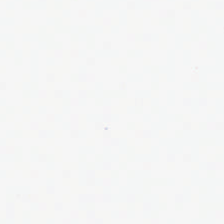Hematoxylin and eosin. This field is background (no tissue).
